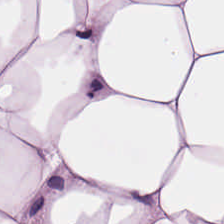Q: What does this patch show?
A: It is adipose tissue.
